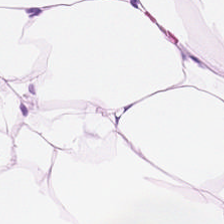Stain: H&E-stained tissue section.
Tile size: 224×224 pixel tile.
Classification: adipose tissue.
